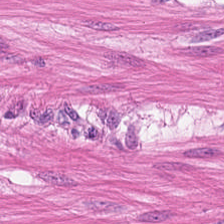WSI patch; H&E-stained tissue section.
Q: What tissue type is shown here?
A: The field shows muscularis.
